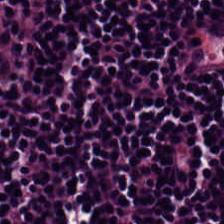H&E.
The predominant tissue is lymphocytic infiltrate.
